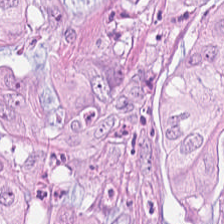Hematoxylin and eosin · 0.5 µm per pixel · FFPE — Q: Identify the tissue.
A: The field shows colorectal adenocarcinoma.
